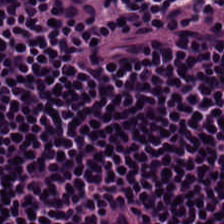Predominant tissue = lymphocytic infiltrate.
